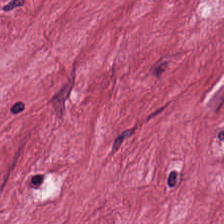Hematoxylin and eosin — The tissue here is tumor-associated stroma.
